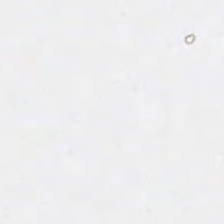H&E.
{"content": "background (no tissue)"}
